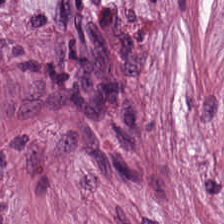Tissue — tumor stroma.
